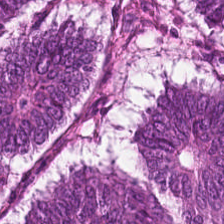Stain: hematoxylin-and-eosin stained section.
Classification: adenocarcinoma.
